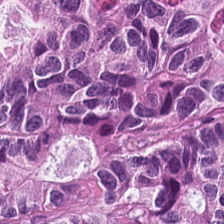H&E stain; WSI patch. {"tissue_type": "colorectal adenocarcinoma epithelium"}
